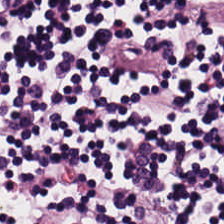H&E stain — {"tissue_type": "lymphoid infiltrate"}
